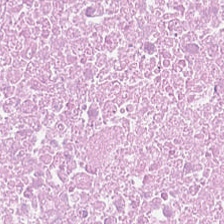The classification is debris.
